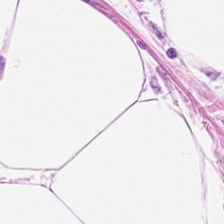Hematoxylin and eosin; brightfield; formalin-fixed paraffin-embedded section — Classification — fat tissue.
